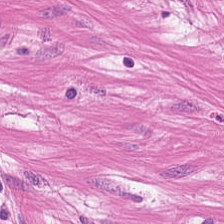Tissue type: muscularis.
